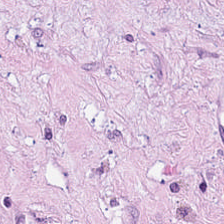H&E-stained tissue section; 0.5 µm/px; brightfield microscopy. This field is tumor stroma.
